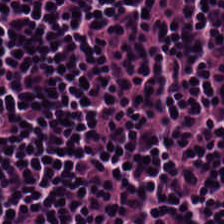FFPE. Hematoxylin-and-eosin stained section. 20× equivalent magnification.
Histology → lymphoid infiltrate.
